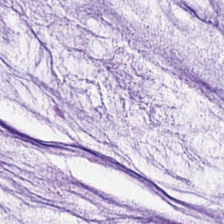Hematoxylin and eosin — Q: What type of tissue is this?
A: This is mucin.
